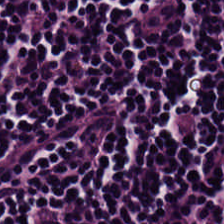Lymphocytic infiltrate.
